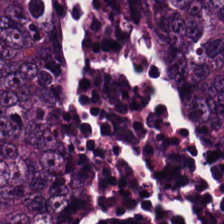Whole-slide-image patch. 0.5 µm/px. Hematoxylin-and-eosin stained section.
Predominant tissue — tumor epithelium.
